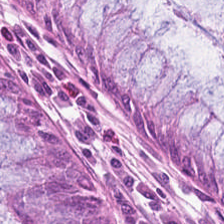H&E-stained tissue section.
Histology — normal colonic mucosa.
